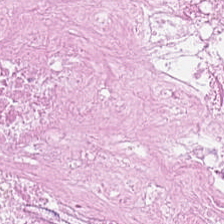This patch shows cellular debris.
